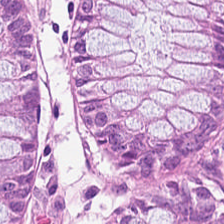H&E patch showing normal colonic mucosa.
